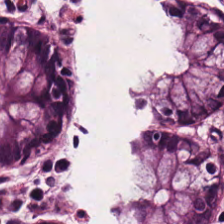Formalin-fixed paraffin-embedded section. Hematoxylin-and-eosin stained section. 224×224 px patch. Impression → normal colonic mucosa.
